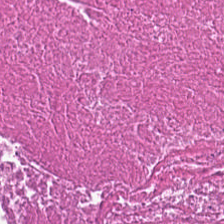H&E stain.
Q: What tissue is shown?
A: Debris.
